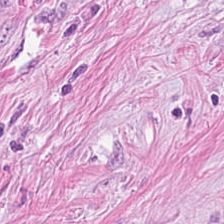H&E. The predominant tissue is tumor stroma.
